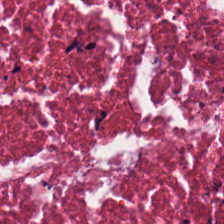Predominantly debris.
